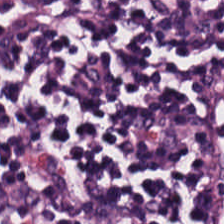H&E-stained tissue section showing lymphocyte aggregate.
